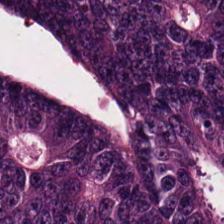Stain: H&E.
Tissue class: adenocarcinoma.
